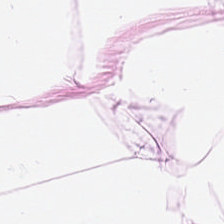Stain: hematoxylin-and-eosin stained section.
Predominant tissue: adipose.
